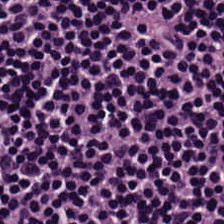Stain: hematoxylin and eosin.
Tile size: 224×224 pixel tile.
Tissue type: lymphocytes.
